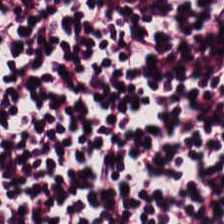Hematoxylin and eosin.
{"tissue_type": "lymphoid infiltrate"}
